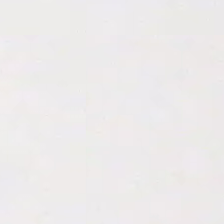H&E-stained tissue section · FFPE — {"content": "empty background"}
